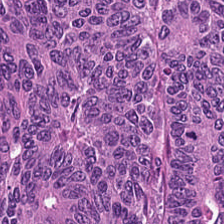H&E stain. {"tissue_type": "malignant epithelium"}
